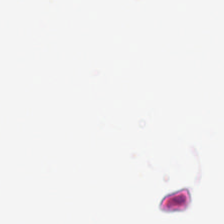H&E stain. {"content": "background (no tissue)"}
